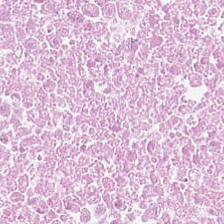H&E. 0.5 microns per pixel — The tissue is debris.
